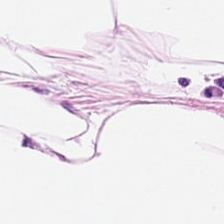H&E-stained tissue section — Classification — adipose.
